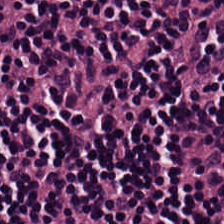H&E. Histology — lymphocyte aggregate.
